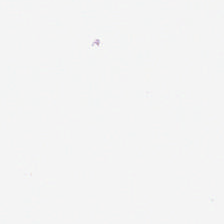H&E stain. No tissue present; background only.
